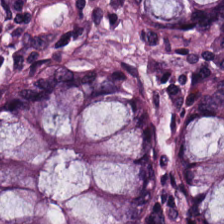FFPE tissue section · 0.5 µm/px · H&E.
Impression — normal colonic mucosa.
